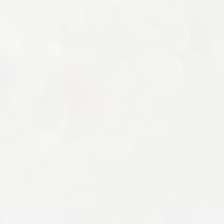WSI patch; 224×224 px patch; hematoxylin-and-eosin stained section.
Background — no tissue in this field.
